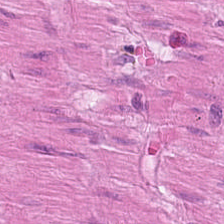224×224 pixel tile; hematoxylin and eosin; 0.5 µm/px.
Predominantly smooth-muscle tissue.
